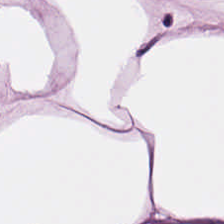Hematoxylin-and-eosin stained section — This patch shows adipocytes.
